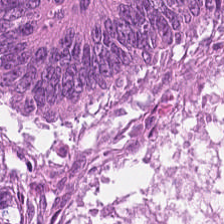Classification — colorectal adenocarcinoma.
